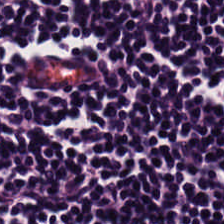H&E stain; 224×224 px tile. Showing lymphocytes.
